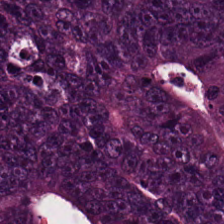Q: What does this patch show?
A: This is colorectal adenocarcinoma epithelium.
